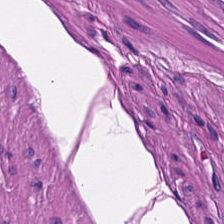Tissue — smooth-muscle tissue.
